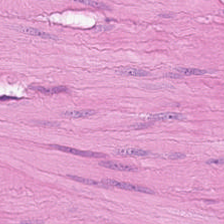H&E. Histology — muscularis.
